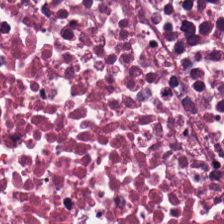Stain: H&E stain.
Predominant tissue: cellular debris.
